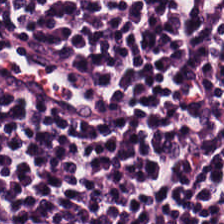Stain: hematoxylin-and-eosin stained section.
Predominant tissue: lymphoid infiltrate.
